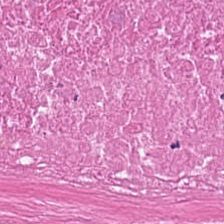Stain: H&E-stained tissue section.
Predominant tissue: debris.
